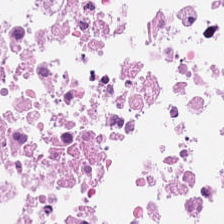H&E. 224×224 px patch.
The tissue here is necrotic debris.
